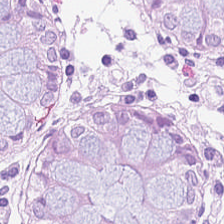224×224 px patch. Hematoxylin-and-eosin stained section. Impression → non-neoplastic colon mucosa.
